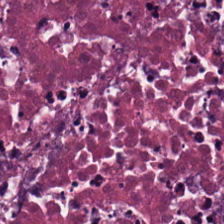Hematoxylin-and-eosin stained section.
The tissue here is debris.
